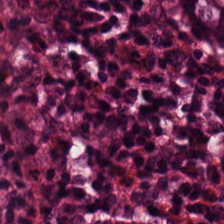H&E stain. Q: What is shown in this field?
A: It is normal colon mucosa.
